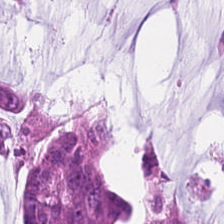H&E — Mucus.
